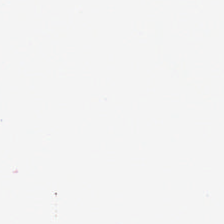H&E stain · 224×224 pixel tile — Classification: no tissue.
